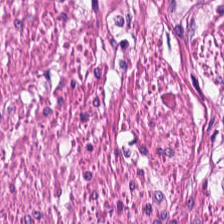H&E-stained tissue section.
Finding — smooth-muscle tissue.
